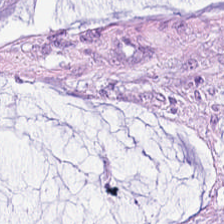Stain: hematoxylin and eosin.
Tissue class: mucin.
